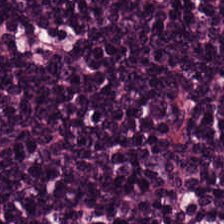Lymphocyte aggregate.
